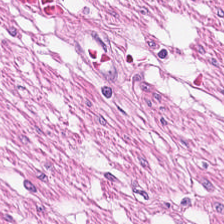224×224 px tile. Hematoxylin-and-eosin stained section — Tissue class: smooth muscle.
